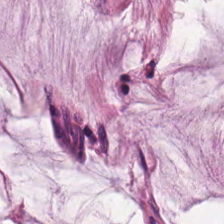Stain: H&E-stained tissue section.
Preparation: formalin-fixed paraffin-embedded section.
Classification: mucus.
